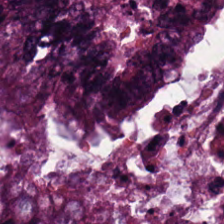H&E-stained tissue section · 224×224 pixel tile. Colorectal adenocarcinoma epithelium.
